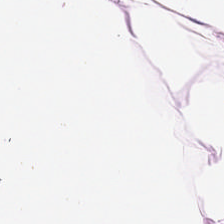This patch shows adipose tissue.
